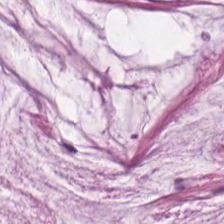20× equivalent magnification. Brightfield. Hematoxylin and eosin.
Tissue — mucin.
